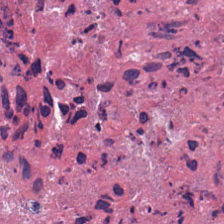Hematoxylin-and-eosin section: cellular debris.
